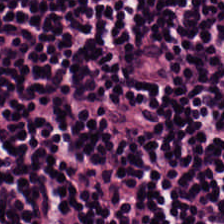FFPE; H&E; brightfield. Classification: lymphocyte aggregate.
